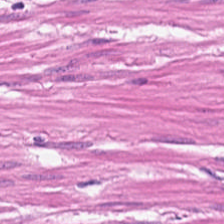0.5 µm/px; 224×224 px patch; H&E-stained tissue section — This patch shows smooth muscle.
